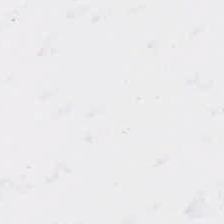Hematoxylin and eosin. No tissue present; background only.
